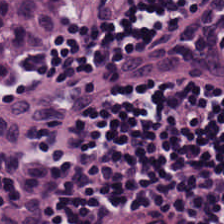FFPE tissue section. 224×224 px patch. H&E-stained tissue section — Q: What is shown in this field?
A: It is lymphocytic infiltrate.
